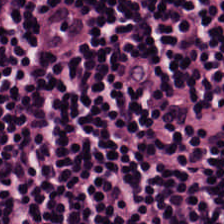Whole-slide-image patch; hematoxylin-and-eosin stained section.
This patch shows lymphocyte aggregate.
